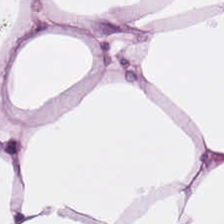H&E — Histology — adipose tissue.
